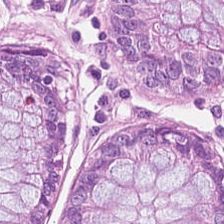Tissue class — non-neoplastic colon mucosa.
